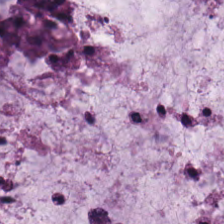Hematoxylin-and-eosin stained section. Predominant tissue: extracellular mucin.
